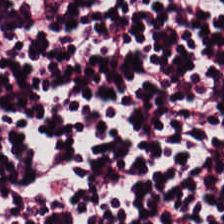H&E stain. {"tissue_type": "lymphocytes"}
